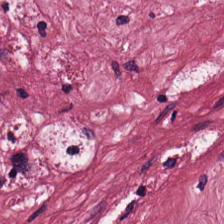{"tissue_type": "cancer-associated stroma"}
